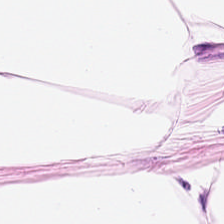H&E stain. This field is adipose tissue.
